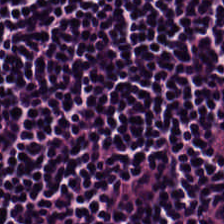H&E — Lymphoid infiltrate.
